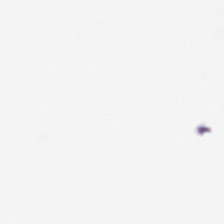WSI patch. H&E-stained tissue section — {"content": "background (no tissue)"}
